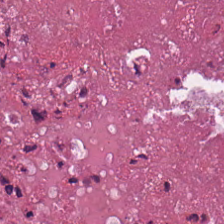H&E. WSI patch. The tissue here is necrotic debris.
